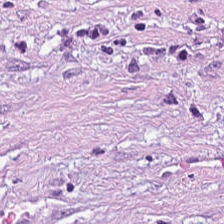Hematoxylin-and-eosin stained section.
Showing desmoplastic stroma.
